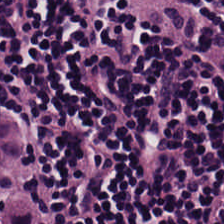FFPE. H&E. Whole-slide-image patch — The predominant tissue is lymphocytes.
